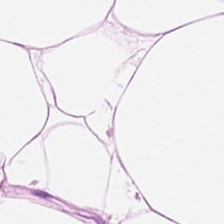H&E. 20× equivalent magnification — Predominantly adipose.
